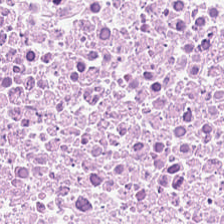H&E-stained tissue section · formalin-fixed paraffin-embedded section.
Classification: cellular debris.
